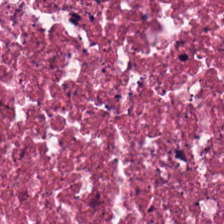Hematoxylin-and-eosin stained section — The predominant tissue is necrotic debris.
